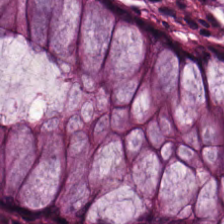Predominant tissue: non-neoplastic colon mucosa.
